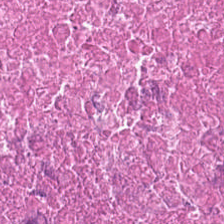Stain: hematoxylin and eosin.
Classification: debris.
